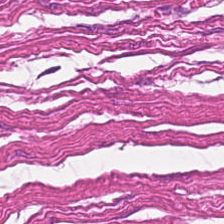H&E-stained tissue section · formalin-fixed paraffin-embedded section · brightfield microscopy — Q: Classify this patch.
A: This is muscularis.
